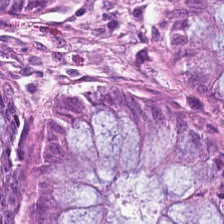FFPE · H&E-stained tissue section — Q: Identify the tissue.
A: It is non-neoplastic colon mucosa.
